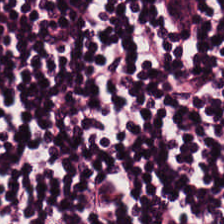0.5 µm per pixel · H&E stain.
Predominantly lymphocyte aggregate.
